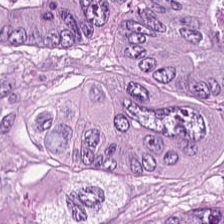Hematoxylin-and-eosin stained section — Colorectal adenocarcinoma.
